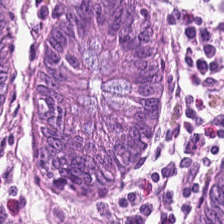H&E-stained tissue section.
Predominantly benign colonic mucosa.
